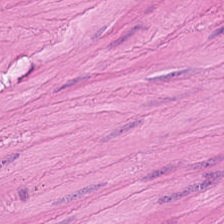WSI patch · H&E stain.
Predominant tissue — smooth muscle.
